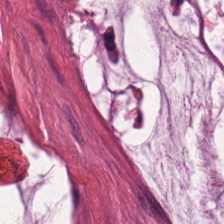Stain: hematoxylin and eosin.
Predominant tissue: extracellular mucin.
